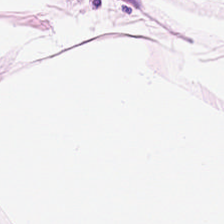Stain: hematoxylin-and-eosin stained section.
Tissue class: adipocytes.
